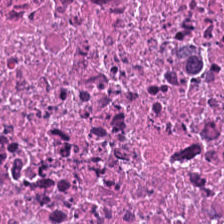Hematoxylin and eosin. Classification — debris.
